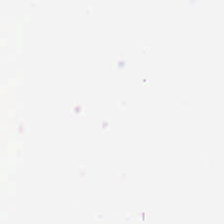Brightfield microscopy · H&E stain — This patch shows no tissue.
